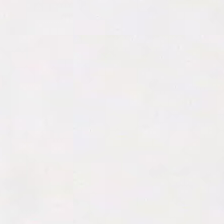Q: Classify this patch.
A: It is empty background.
